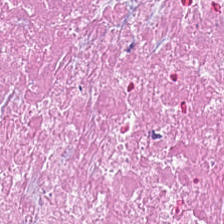Stain: H&E-stained tissue section.
Tissue type: debris.
